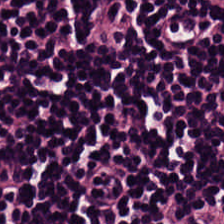H&E stain · 0.5 µm per pixel. The classification is lymphoid infiltrate.
